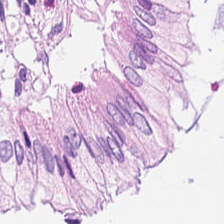Stain: H&E stain.
Preparation: FFPE tissue section.
Predominant tissue: non-neoplastic colon mucosa.
